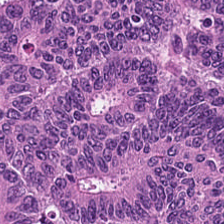Hematoxylin-and-eosin stained section.
Impression — tumor epithelium.
